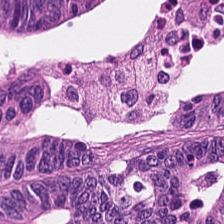Brightfield · H&E.
The predominant tissue is colorectal adenocarcinoma epithelium.
